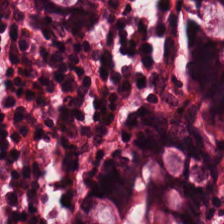H&E stain.
Tissue class — normal colon mucosa.
